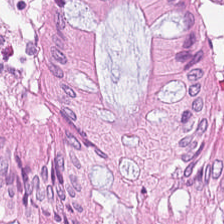224×224 px patch. H&E-stained tissue section. Finding — normal colonic mucosa.
